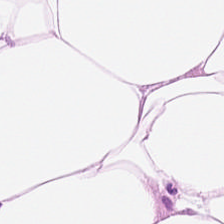Hematoxylin and eosin. Tissue: adipose tissue.
